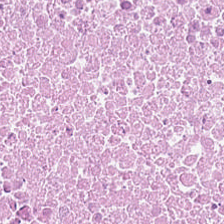Q: Identify the tissue.
A: It is cellular debris.
